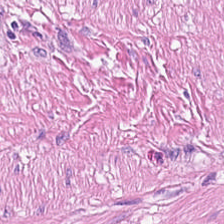Hematoxylin and eosin. 224×224 px tile. Q: What tissue type is shown here?
A: The field shows smooth muscle.
